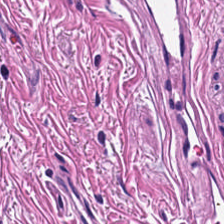Hematoxylin and eosin. Finding → muscularis.
